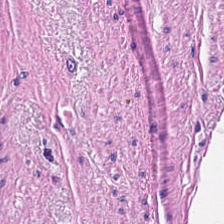The predominant tissue is muscularis.
